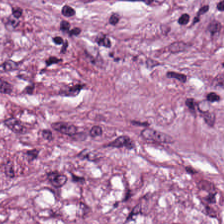Stain: H&E.
Tile size: 224×224 px tile.
Preparation: formalin-fixed paraffin-embedded section.
Tissue type: tumor-associated stroma.
